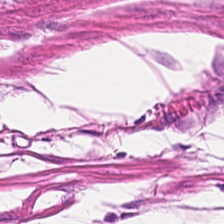Impression — muscularis.
